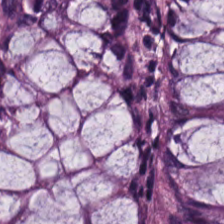Predominant tissue — benign colonic mucosa.
